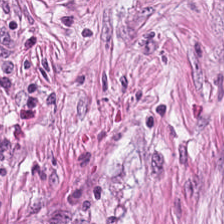Finding — tumor stroma.
